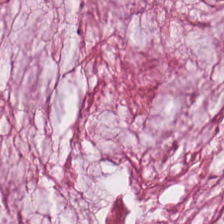Hematoxylin and eosin — Histology — mucus.
